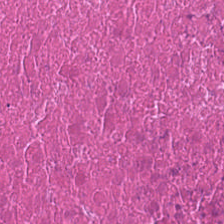The predominant tissue is necrotic debris.
